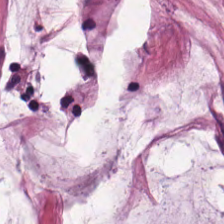Mucus.
